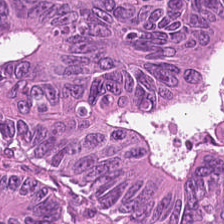H&E stain. FFPE tissue section.
Histology → colorectal adenocarcinoma epithelium.
